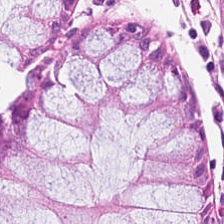H&E patch showing normal colonic mucosa.
